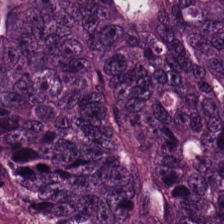Stain: H&E stain.
Acquisition: brightfield microscopy.
Resolution: 0.5 µm/px.
Tissue type: malignant epithelium.
